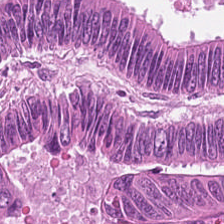Hematoxylin-and-eosin stained section. Brightfield microscopy. 224×224 px patch.
The tissue here is colorectal adenocarcinoma.
